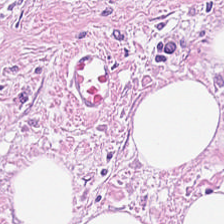H&E-stained tissue section. The predominant tissue is desmoplastic stroma.
